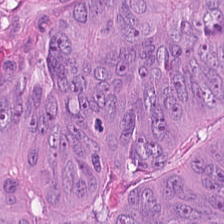Hematoxylin-and-eosin stained section. Finding → colorectal adenocarcinoma.
